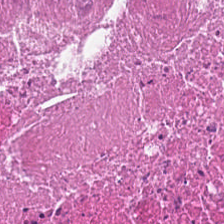Q: What does this patch show?
A: This is debris.
